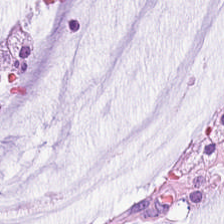H&E-stained tissue section.
This field is mucus.
